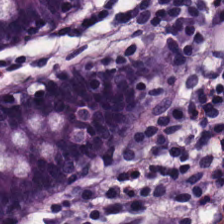H&E patch showing benign colonic mucosa.
